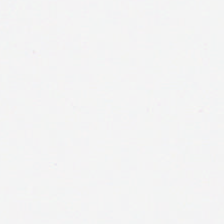WSI patch · H&E. This patch shows no tissue.
